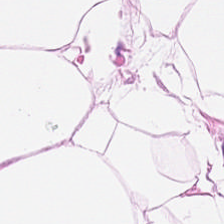Formalin-fixed paraffin-embedded section; 0.5 µm/px; hematoxylin-and-eosin stained section. This field is adipocytes.
